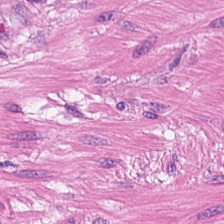H&E stain — Smooth-muscle tissue.
